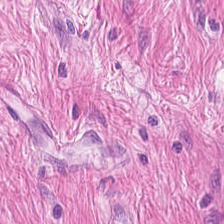H&E stain. This field is smooth-muscle tissue.
